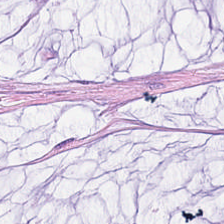20× equivalent magnification · hematoxylin-and-eosin stained section — Predominantly mucin.
